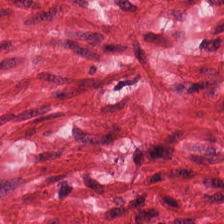Stain: hematoxylin and eosin.
Resolution: 0.5 µm/px.
Tissue class: muscularis.
